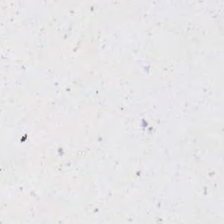H&E-stained tissue section. Formalin-fixed paraffin-embedded section.
Q: What is shown here?
A: This is no tissue.
